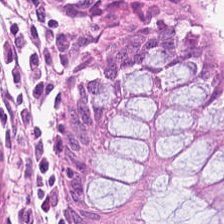Hematoxylin and eosin. {"tissue_type": "normal colonic mucosa"}
